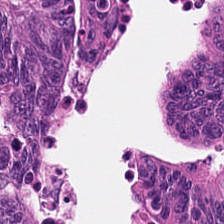Hematoxylin and eosin.
Showing malignant epithelium.
